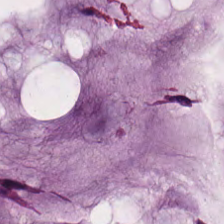Stain: H&E stain.
Tissue: mucus.
